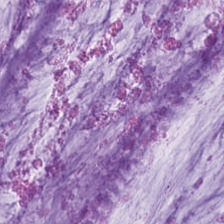H&E stain. Predominantly mucin.
